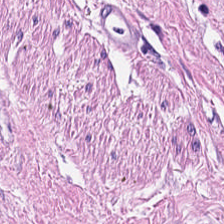H&E stain. 224×224 pixel tile. Formalin-fixed paraffin-embedded section.
This patch shows muscularis.
